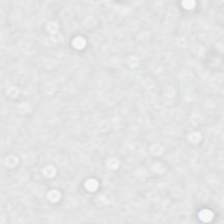Q: Classify this patch.
A: It is background.
